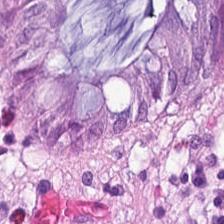Brightfield · H&E · 0.5 microns per pixel.
Predominantly normal colonic mucosa.
